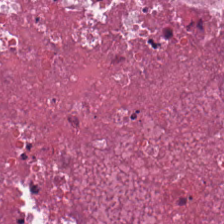H&E. FFPE. Whole-slide-image patch.
Q: What is the predominant tissue type?
A: Necrotic debris.
